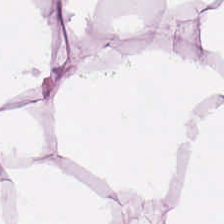H&E-stained tissue section · formalin-fixed paraffin-embedded section — Q: Identify the tissue.
A: The field shows adipocytes.
